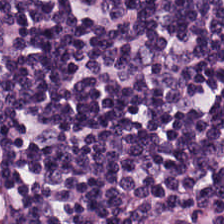Hematoxylin-and-eosin stained section.
The tissue here is lymphocyte aggregate.
